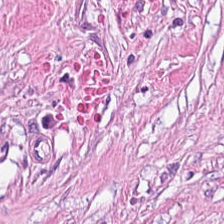Hematoxylin-and-eosin stained section · 0.5 µm per pixel — Q: What tissue type is shown here?
A: The field shows tumor-associated stroma.
